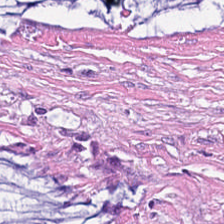Q: What tissue type is shown here?
A: It is tumor stroma.
